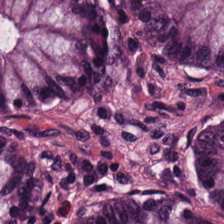H&E-stained tissue section. 0.5 µm/px — Tissue — normal colon mucosa.
